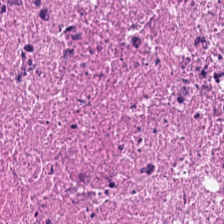H&E — Histology → cellular debris.
